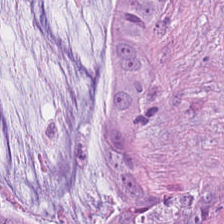20× equivalent magnification · hematoxylin-and-eosin stained section.
The tissue here is malignant epithelium.
